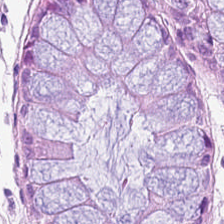WSI patch. FFPE tissue section. Hematoxylin and eosin — Benign colonic mucosa.
